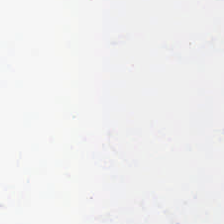H&E stain — This patch shows background (no tissue).
